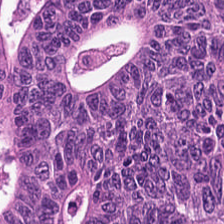Whole-slide-image patch. 224×224 px patch. Hematoxylin-and-eosin stained section. Tissue = tumor epithelium.
